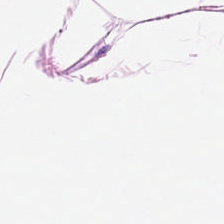This field is adipose tissue.
